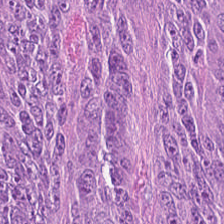Hematoxylin-and-eosin stained section. 0.5 µm per pixel. Formalin-fixed paraffin-embedded section.
Q: What is shown in this field?
A: The field shows tumor epithelium.
